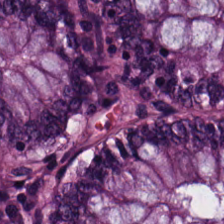Stain: hematoxylin-and-eosin stained section.
Tissue: normal colon mucosa.
